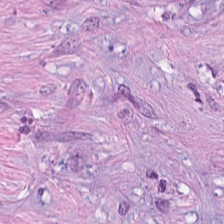Hematoxylin-and-eosin stained section. Brightfield. FFPE. This field is tumor stroma.
